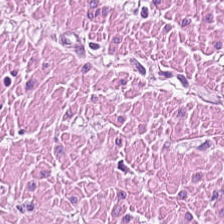Brightfield microscopy · H&E stain.
Tissue = smooth-muscle tissue.
